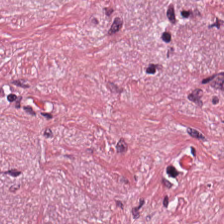H&E stain. This patch shows desmoplastic stroma.
